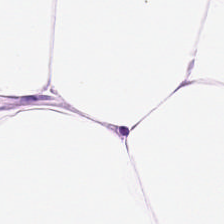H&E — Q: What is the predominant tissue type?
A: This is adipose tissue.
